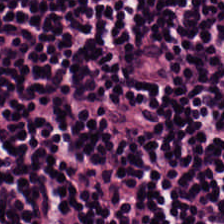H&E stain. Whole-slide-image patch.
Predominantly lymphocyte aggregate.
